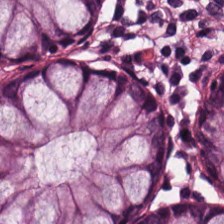The tissue type is non-neoplastic colon mucosa.
